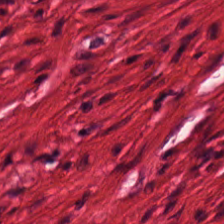Histology → smooth muscle.
